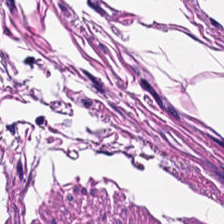Hematoxylin and eosin; 224×224 px tile — {"tissue_type": "muscularis"}
